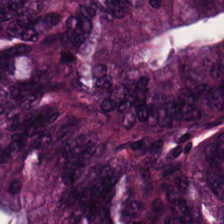Hematoxylin and eosin · 224×224 px tile.
Q: What does this patch show?
A: The field shows colorectal adenocarcinoma epithelium.
